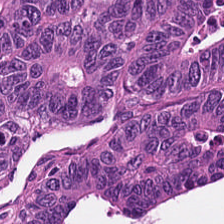H&E. Colorectal adenocarcinoma epithelium.
